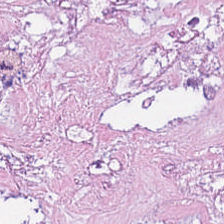Stain: hematoxylin-and-eosin stained section.
Tissue: debris.
